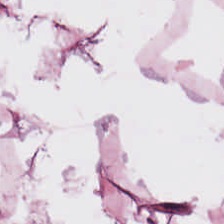Hematoxylin-and-eosin stained section; FFPE — Fat tissue.
